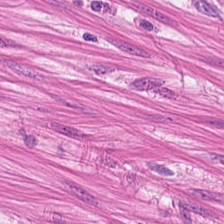20× equivalent magnification; H&E stain; 224×224 px patch.
{"tissue_type": "smooth-muscle tissue"}
